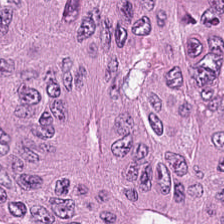H&E-stained tissue section — Malignant epithelium.
